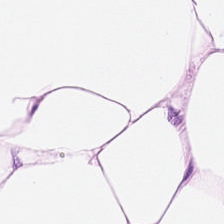H&E-stained tissue section. Q: What tissue type is shown here?
A: This is adipose.
